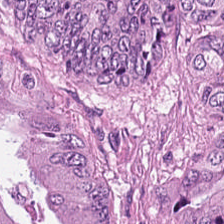Hematoxylin-and-eosin stained section.
Q: What does this patch show?
A: This is colorectal adenocarcinoma epithelium.
